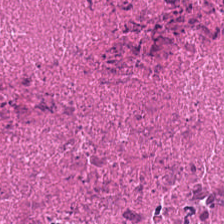20× equivalent magnification. FFPE tissue section. Hematoxylin-and-eosin stained section.
{"tissue_type": "cellular debris"}
